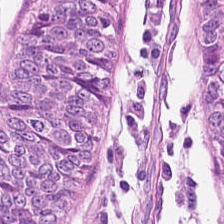H&E stain — The tissue type is non-neoplastic colon mucosa.
